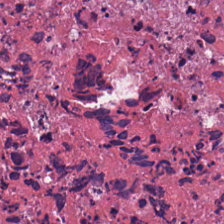H&E-stained section; the field shows debris.
